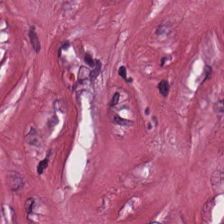Hematoxylin and eosin; 224×224 px tile. Q: What type of tissue is this?
A: This is cancer-associated stroma.
